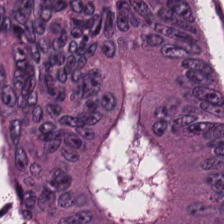H&E-stained tissue section — Impression → adenocarcinoma.
